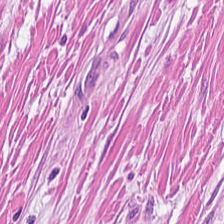Stain: hematoxylin-and-eosin stained section.
Tissue class: muscularis.
